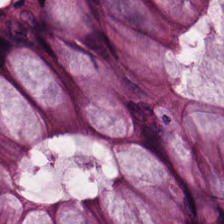H&E — The tissue here is benign colonic mucosa.
